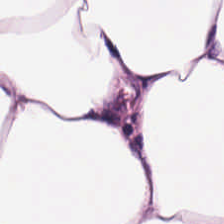Brightfield microscopy. H&E stain — Q: What is shown here?
A: The field shows adipose tissue.
